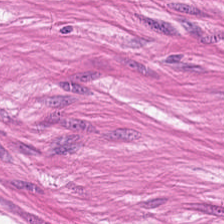Predominant tissue = muscularis.
